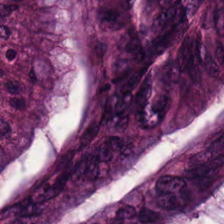Formalin-fixed paraffin-embedded section · H&E. Showing malignant epithelium.
